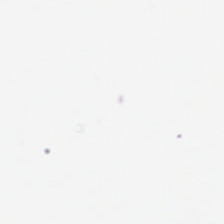Hematoxylin-and-eosin stained section. Q: Classify this patch.
A: The field shows no tissue.
